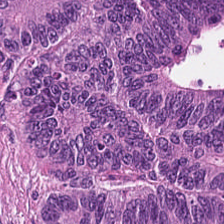Formalin-fixed paraffin-embedded section · hematoxylin and eosin.
Predominantly malignant epithelium.
